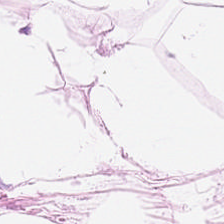Hematoxylin and eosin · 224×224 px tile — Predominantly fat tissue.
